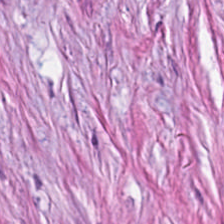224×224 px tile. H&E stain.
This field is cancer-associated stroma.
